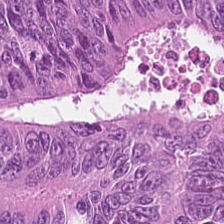Q: Identify the tissue.
A: The field shows malignant epithelium.
